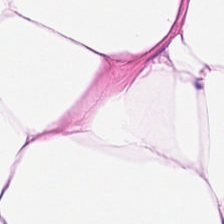Hematoxylin-and-eosin stained section — Classification: adipose tissue.
